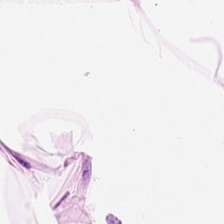H&E stain — Q: Classify this patch.
A: This is adipose tissue.
